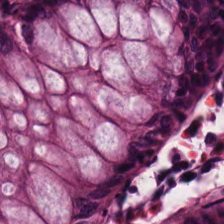Hematoxylin-and-eosin section: normal colon mucosa.
